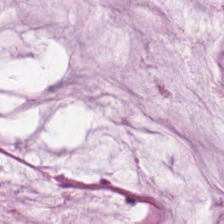H&E stain.
Impression → mucin.
